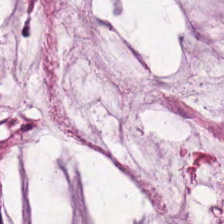0.5 microns per pixel. Hematoxylin-and-eosin stained section — Histology → extracellular mucin.
